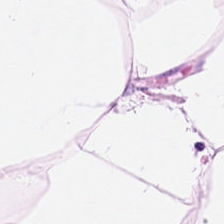Hematoxylin and eosin. WSI patch. 0.5 µm per pixel — Tissue class = adipose.
